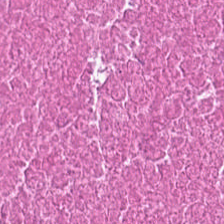H&E stain. Formalin-fixed paraffin-embedded section. The tissue here is necrotic debris.
